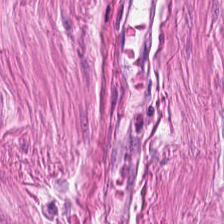Brightfield microscopy; H&E; 0.5 µm per pixel — Showing muscularis.
